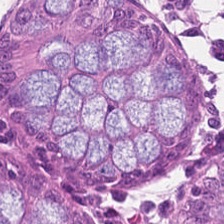FFPE; H&E stain; brightfield microscopy.
The tissue here is non-neoplastic colon mucosa.
